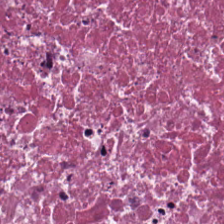Hematoxylin-and-eosin stained section.
Q: What is the predominant tissue type?
A: It is necrotic debris.
